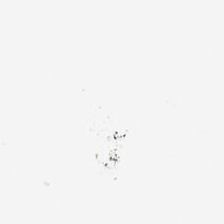H&E · FFPE — Q: What is shown in this field?
A: The field shows empty background.
